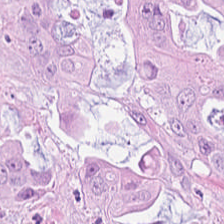Tissue type — malignant epithelium.
